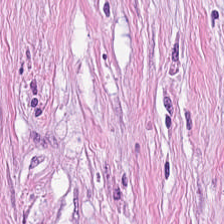H&E · brightfield microscopy · formalin-fixed paraffin-embedded section. Predominant tissue: tumor stroma.
